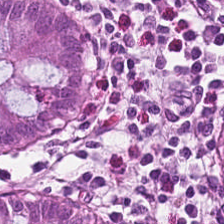H&E — The tissue here is non-neoplastic colon mucosa.
